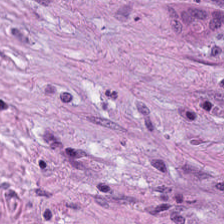H&E-stained tissue section · 0.5 microns per pixel — Q: Classify this patch.
A: It is cancer-associated stroma.
